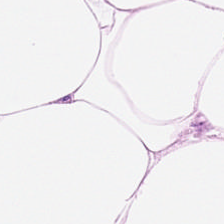Hematoxylin-and-eosin section: adipose.
